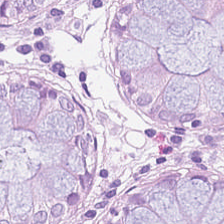Brightfield · hematoxylin and eosin. Normal colon mucosa.
